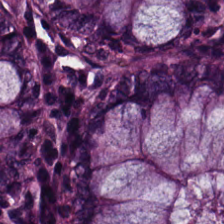Stain: H&E-stained tissue section.
Classification: normal colonic mucosa.
